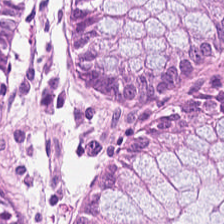Predominantly benign colonic mucosa.
